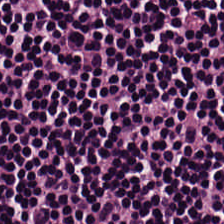Stain: hematoxylin and eosin.
Tissue type: lymphocytes.
